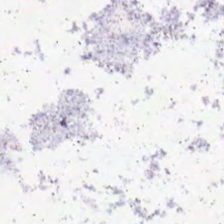224×224 px tile · FFPE tissue section · hematoxylin and eosin.
Q: What does this patch show?
A: This is empty background.
